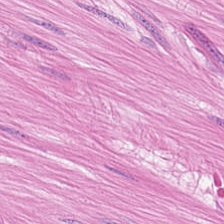H&E stain.
Showing smooth muscle.
